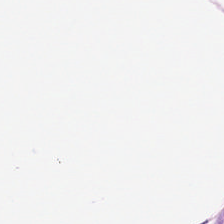Hematoxylin-and-eosin stained section — The tissue type is adipocytes.
